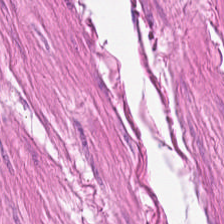H&E stain.
The predominant tissue is smooth-muscle tissue.
